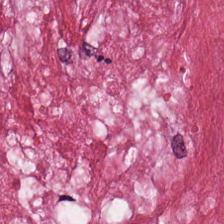Hematoxylin and eosin — Showing tumor stroma.
